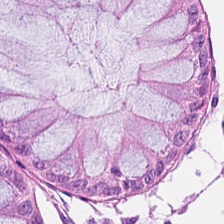Stain: hematoxylin-and-eosin stained section.
Classification: benign colonic mucosa.
